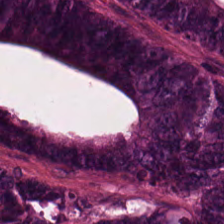H&E-stained tissue section.
This patch shows malignant epithelium.
